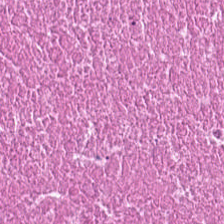H&E-stained tissue section · whole-slide-image patch — Predominant tissue — cellular debris.
